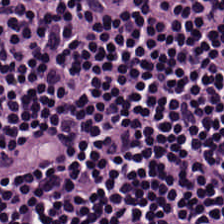H&E stain · FFPE tissue section · 20× equivalent magnification. Tissue type: lymphocyte aggregate.
